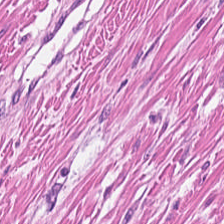Brightfield. 224×224 pixel tile. Hematoxylin and eosin — This field is smooth muscle.
